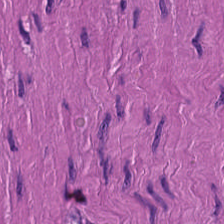FFPE tissue section. H&E — This patch shows muscularis.
